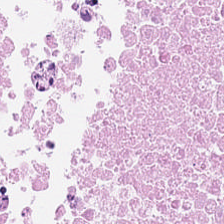Whole-slide-image patch · 224×224 pixel tile · H&E.
Finding → debris.
